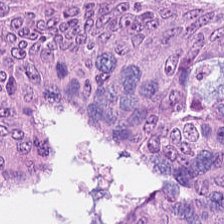H&E. This patch shows colorectal adenocarcinoma epithelium.
